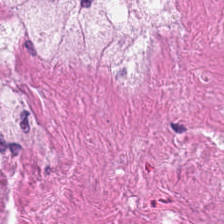Stain: hematoxylin and eosin.
Classification: debris.
